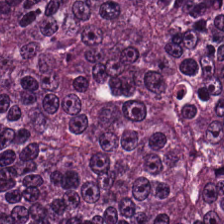H&E; 224×224 px tile — Showing malignant epithelium.
